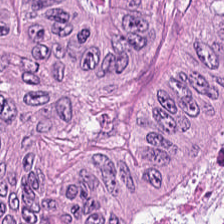H&E stain. Predominant tissue: tumor epithelium.
